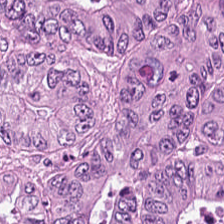H&E stain — Classification: colorectal adenocarcinoma.
